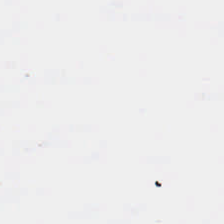H&E.
Background (no tissue).
